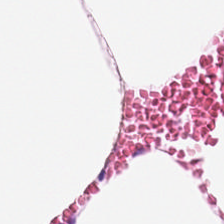H&E patch showing adipose.
